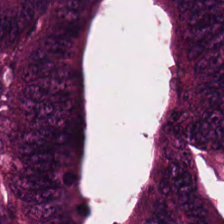H&E-stained section; the field shows adenocarcinoma.
